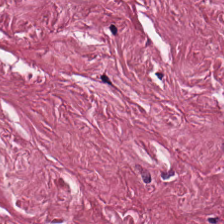This patch shows desmoplastic stroma.
